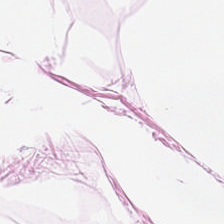H&E stain. This field is adipose.
